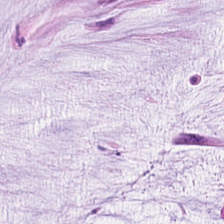H&E-stained tissue section — Classification: extracellular mucin.
